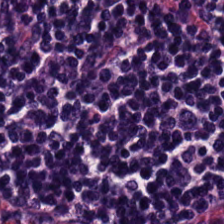Q: What is shown here?
A: Lymphocytic infiltrate.
